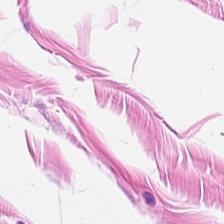224×224 px patch · H&E. Classification = smooth-muscle tissue.
